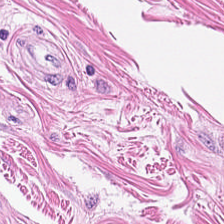Hematoxylin-and-eosin stained section.
Showing muscularis.
